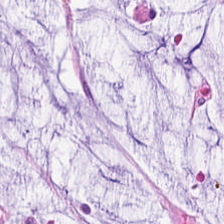Q: What is the predominant tissue type?
A: It is mucin.
